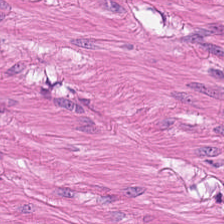Hematoxylin and eosin. FFPE — Predominantly muscularis.
